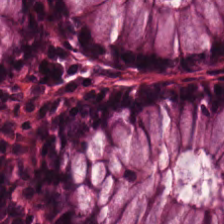Predominant tissue — normal colonic mucosa.
